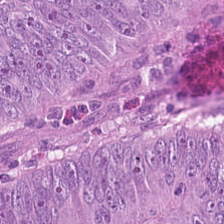Brightfield microscopy; H&E.
Showing adenocarcinoma.
